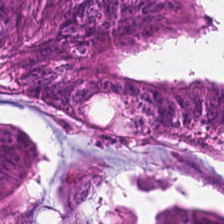H&E. The predominant tissue is tumor epithelium.
